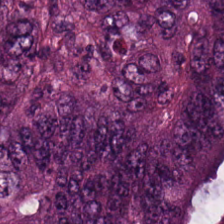H&E-stained tissue section.
Tissue = colorectal adenocarcinoma.
